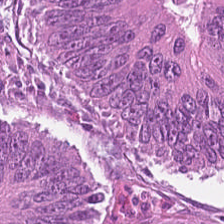Hematoxylin and eosin; 224×224 px tile; FFPE.
Q: Identify the tissue.
A: Malignant epithelium.
